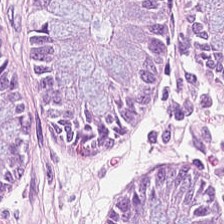0.5 microns per pixel · formalin-fixed paraffin-embedded section · H&E. Finding — normal colon mucosa.
